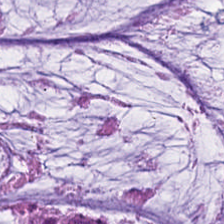H&E — {"tissue_type": "mucin"}
